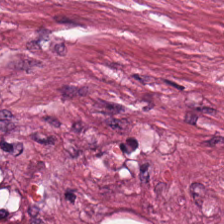Impression → necrotic debris.
